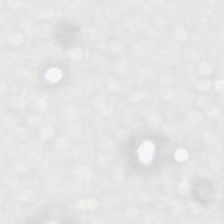H&E.
Empty background.
